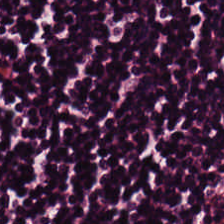Impression → lymphocytic infiltrate.
